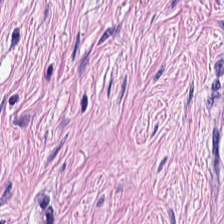Q: What tissue is shown?
A: This is cancer-associated stroma.
